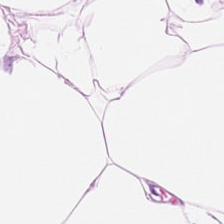Hematoxylin-and-eosin stained section.
Q: What is shown here?
A: It is adipose.
